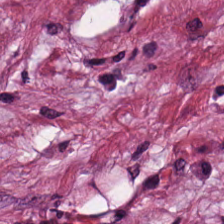224×224 px patch; formalin-fixed paraffin-embedded section; H&E. Predominantly tumor stroma.
